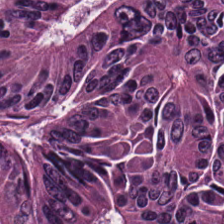H&E-stained tissue section showing tumor epithelium.
